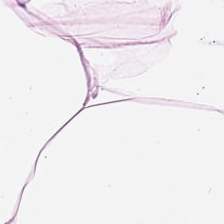Brightfield microscopy · hematoxylin and eosin · FFPE.
Fat tissue.
